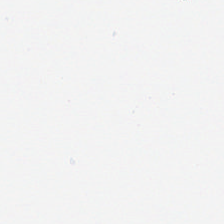Hematoxylin-and-eosin stained section — No tissue.
